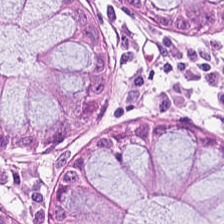FFPE tissue section. Hematoxylin-and-eosin stained section. 224×224 px patch. Showing benign colonic mucosa.
